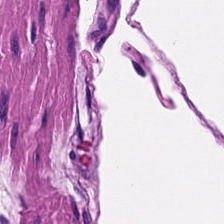Hematoxylin and eosin.
Q: What is shown here?
A: It is smooth-muscle tissue.
